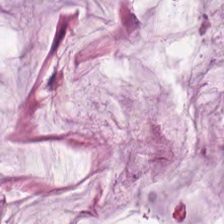FFPE tissue section; brightfield microscopy; hematoxylin-and-eosin stained section — The tissue is mucin.
